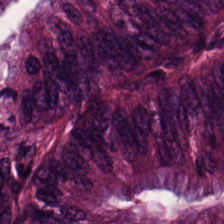Brightfield · H&E — Q: What is shown here?
A: The field shows colorectal adenocarcinoma.
